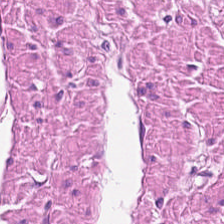224×224 px patch · FFPE tissue section · hematoxylin and eosin. This patch shows smooth-muscle tissue.
